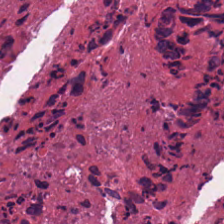Hematoxylin-and-eosin stained section. 224×224 px patch. Predominantly debris.
